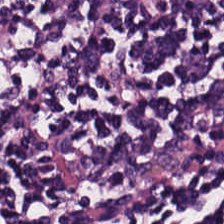H&E · 0.5 µm/px. The tissue class is lymphocytes.
